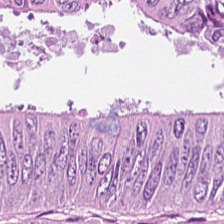Q: What is shown here?
A: It is malignant epithelium.
